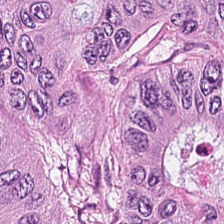Brightfield microscopy · hematoxylin-and-eosin stained section — Classification — malignant epithelium.
